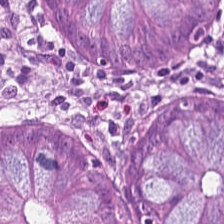The tissue is non-neoplastic colon mucosa.
